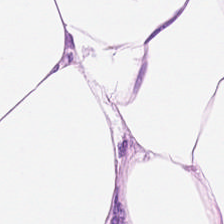H&E — adipose.
